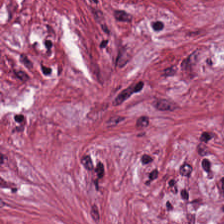FFPE tissue section; hematoxylin and eosin. Finding → cancer-associated stroma.
